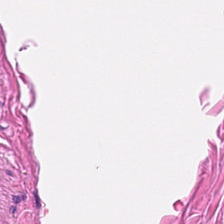Finding → muscularis.
